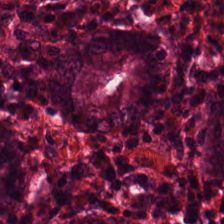Hematoxylin-and-eosin stained section. 0.5 µm/px.
Predominantly non-neoplastic colon mucosa.
